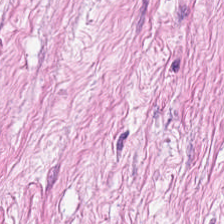Stain: H&E-stained tissue section.
Tissue type: tumor-associated stroma.
